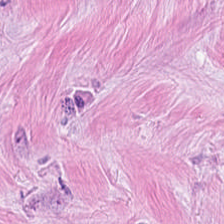Hematoxylin and eosin.
Q: Identify the tissue.
A: This is tumor stroma.
